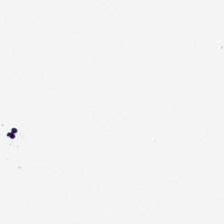H&E. Q: What is shown in this field?
A: It is no tissue.
